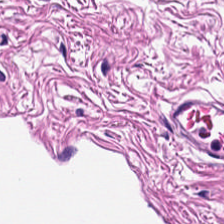Brightfield · H&E-stained tissue section — Smooth-muscle tissue.
